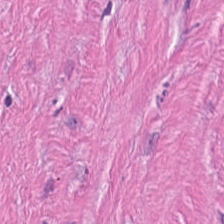H&E stain — {"tissue_type": "tumor stroma"}
